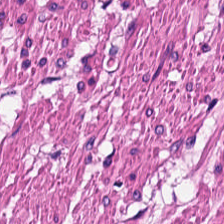This field is smooth-muscle tissue.
